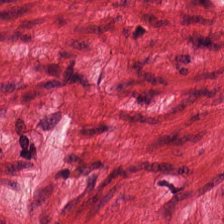H&E stain.
Showing smooth-muscle tissue.
